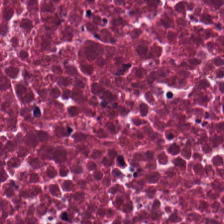FFPE. Hematoxylin-and-eosin stained section.
The classification is cellular debris.
